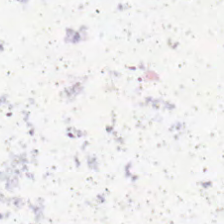Brightfield microscopy; hematoxylin-and-eosin stained section. Content — no tissue.
